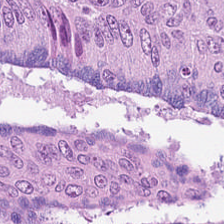This field is malignant epithelium.
